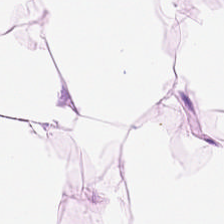224×224 px patch · FFPE · hematoxylin and eosin — Finding → fat tissue.
